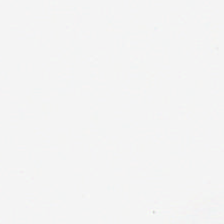Hematoxylin and eosin · 224×224 px patch · 0.5 microns per pixel. The field content is background.
